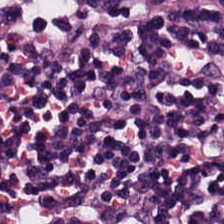H&E-stained tissue section — {"tissue_type": "lymphoid infiltrate"}
